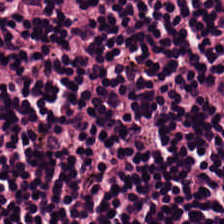This patch shows lymphoid infiltrate.
